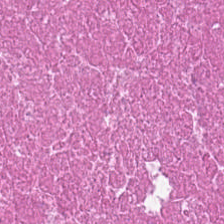Q: Identify the tissue.
A: This is necrotic debris.
